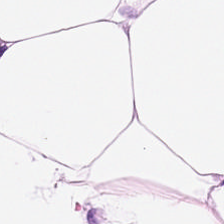{"tissue_type": "adipose tissue"}
